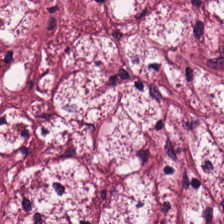{"tissue_type": "tumor stroma"}
